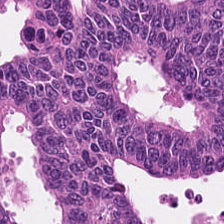Hematoxylin-and-eosin section: malignant epithelium.
